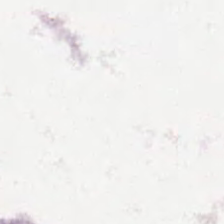Hematoxylin-and-eosin stained section; formalin-fixed paraffin-embedded section — No tissue present; background only.
